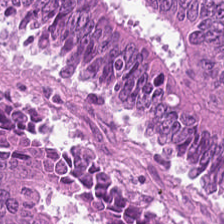H&E stain · 0.5 microns per pixel. The tissue is malignant epithelium.
